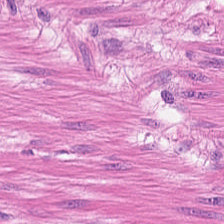Hematoxylin and eosin. Histology — smooth-muscle tissue.
